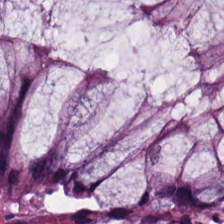H&E.
Predominantly normal colon mucosa.
